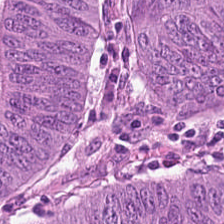H&E-stained tissue section. Q: What tissue type is shown here?
A: Colorectal adenocarcinoma.
